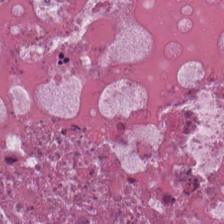H&E stain.
This patch shows debris.
